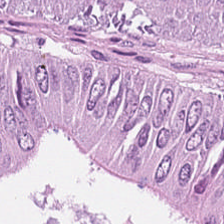Hematoxylin-and-eosin section: adenocarcinoma.
